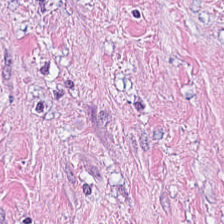H&E-stained tissue section — Q: What is the predominant tissue type?
A: It is tumor-associated stroma.
